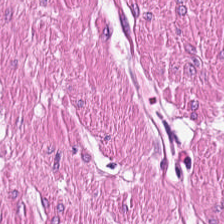Hematoxylin-and-eosin stained section; 224×224 px tile. Impression → smooth muscle.
